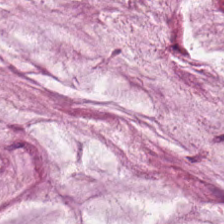H&E stain.
The tissue type is mucus.
